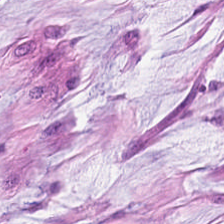0.5 microns per pixel; H&E. Tissue type — mucus.
